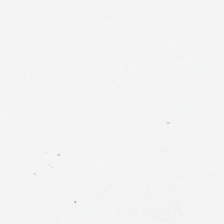H&E stain — Classification — no tissue.
